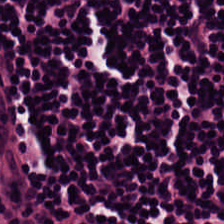H&E-stained tissue section. {"tissue_type": "lymphocytic infiltrate"}
